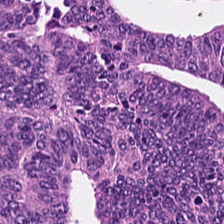Q: Classify this patch.
A: This is tumor epithelium.
